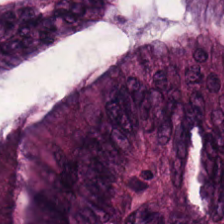Stain: hematoxylin and eosin.
Preparation: FFPE tissue section.
Resolution: 0.5 µm/px.
Tissue class: colorectal adenocarcinoma.
